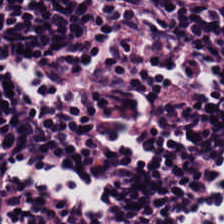H&E. Q: What is the predominant tissue type?
A: It is lymphocyte aggregate.
